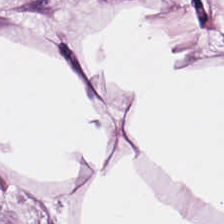H&E-stained tissue section. Q: Identify the tissue.
A: It is adipose tissue.
